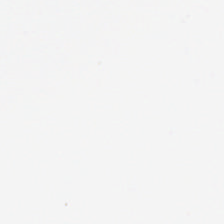Hematoxylin and eosin.
Field content = background.
